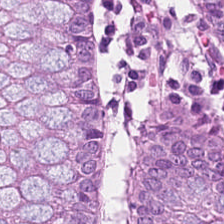H&E stain — Tissue: normal colonic mucosa.
